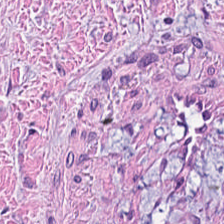Stain: hematoxylin-and-eosin stained section.
Resolution: 0.5 µm per pixel.
Tissue class: cancer-associated stroma.
